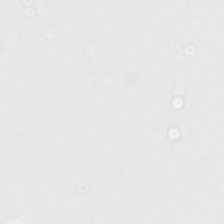Stain: hematoxylin-and-eosin stained section.
Resolution: 0.5 µm per pixel.
Classification: background (no tissue).
